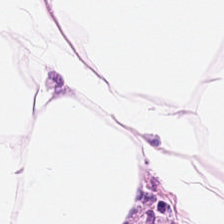Hematoxylin-and-eosin stained section.
Adipose.
